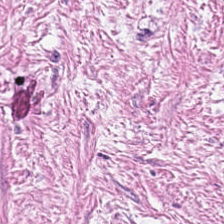Stain: hematoxylin and eosin.
Predominant tissue: desmoplastic stroma.
